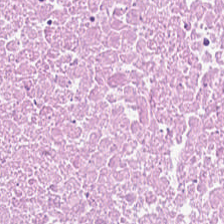Formalin-fixed paraffin-embedded section. WSI patch. H&E — Tissue class — debris.
